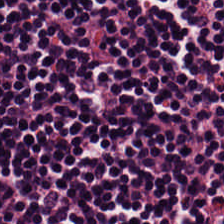224×224 px patch; H&E. Tissue class: lymphoid infiltrate.
